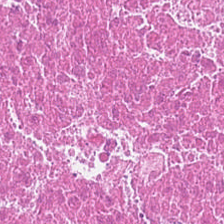H&E-stained tissue section; formalin-fixed paraffin-embedded section.
Showing debris.
